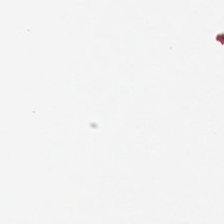H&E stain — Background — no tissue in this field.
